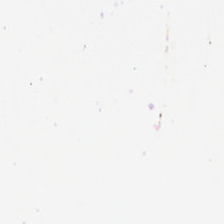FFPE tissue section. 0.5 µm/px. Hematoxylin-and-eosin stained section. This field is background (no tissue).
